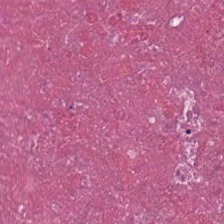H&E — Histology → necrotic debris.
